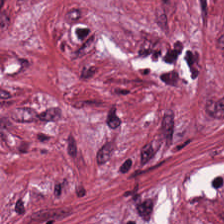Hematoxylin and eosin — Desmoplastic stroma.
